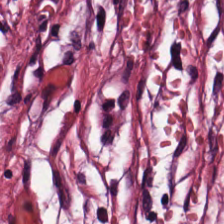H&E — Q: What is shown in this field?
A: The field shows desmoplastic stroma.
